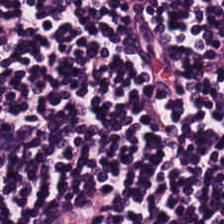Hematoxylin and eosin.
Q: What is the predominant tissue type?
A: Lymphoid infiltrate.
